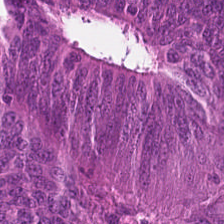H&E stain. Formalin-fixed paraffin-embedded section. 0.5 µm per pixel. Predominantly colorectal adenocarcinoma epithelium.
